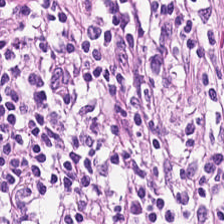H&E-stained tissue section.
{"tissue_type": "lymphocytes"}
